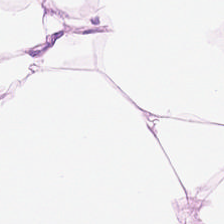Hematoxylin and eosin.
This field is adipose.
